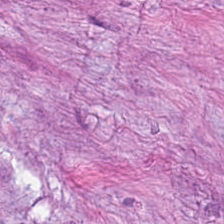Classification = cancer-associated stroma.
